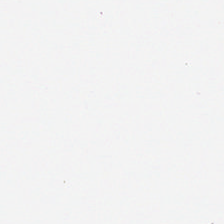WSI patch · H&E — Background — no tissue in this field.
